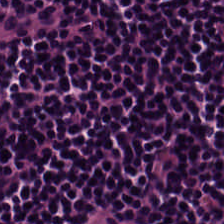Hematoxylin and eosin — Showing lymphocyte aggregate.
